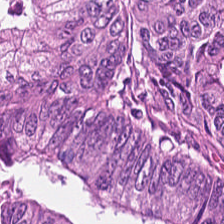H&E — The classification is malignant epithelium.
